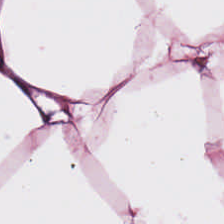H&E-stained tissue section. Q: What is shown in this field?
A: This is adipose tissue.
